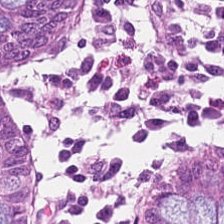Hematoxylin and eosin. The tissue type is normal colonic mucosa.
